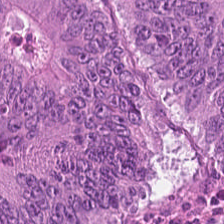H&E. Colorectal adenocarcinoma epithelium.
